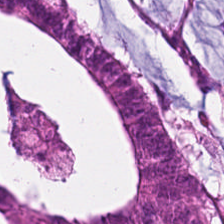H&E stain — Histology — tumor epithelium.
